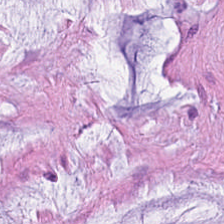H&E-stained tissue section.
Impression — mucin.
